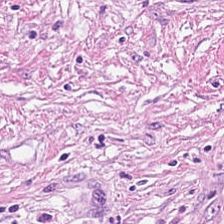Predominantly tumor-associated stroma.
